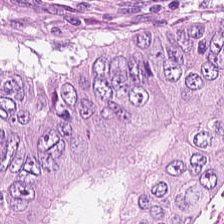Finding → tumor epithelium.
